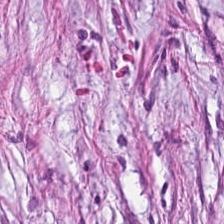224×224 px patch · H&E.
This field is tumor stroma.
